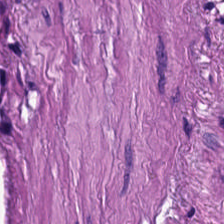224×224 pixel tile. FFPE. Hematoxylin-and-eosin stained section — Classification: smooth muscle.
